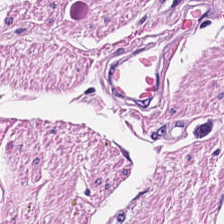H&E-stained tissue section · 0.5 microns per pixel — Q: What tissue type is shown here?
A: The field shows muscularis.
